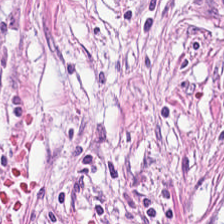Hematoxylin and eosin. This field is desmoplastic stroma.
